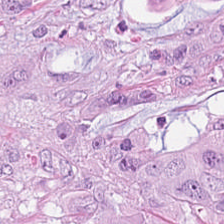Stain: H&E stain.
Tissue type: colorectal adenocarcinoma epithelium.
